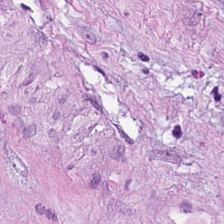Predominant tissue: tumor-associated stroma.
